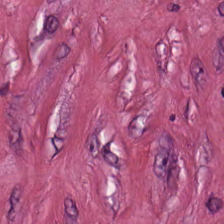H&E-stained tissue section. 224×224 pixel tile. The tissue here is tumor stroma.
